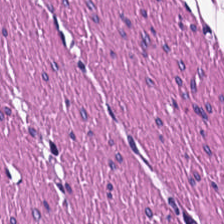Smooth-muscle tissue.
